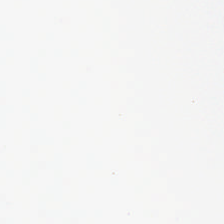H&E — {"content": "background (no tissue)"}
